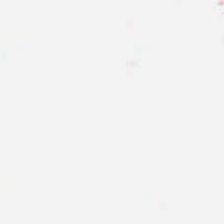Content: background.
